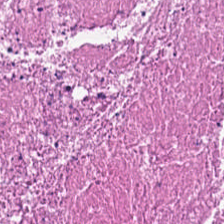Stain: H&E-stained tissue section.
Tissue type: debris.
